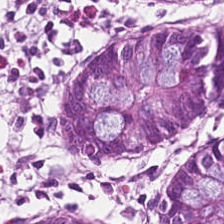H&E; 0.5 µm/px. Predominant tissue — non-neoplastic colon mucosa.
